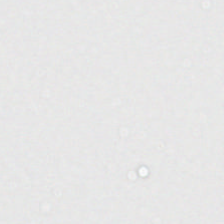Stain: H&E stain.
Classification: background (no tissue).
